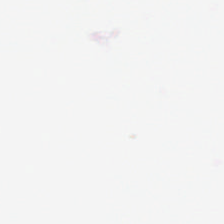Hematoxylin and eosin.
Background — no tissue in this field.
